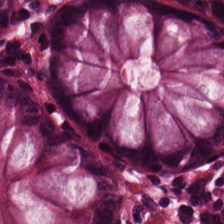H&E stain — {"tissue_type": "normal colonic mucosa"}
